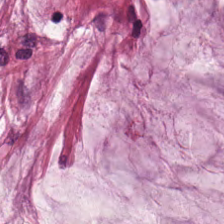Hematoxylin-and-eosin stained section.
Tissue type: mucus.
